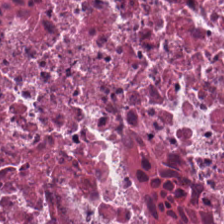Hematoxylin and eosin — Q: What does this patch show?
A: It is cellular debris.
